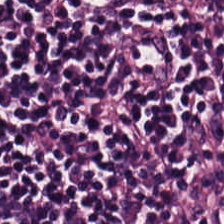Showing lymphocytes.
